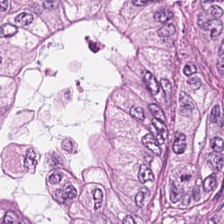Tissue type = adenocarcinoma.
